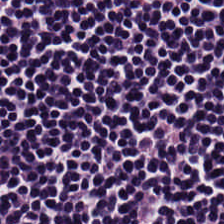FFPE · H&E stain. This field is lymphoid infiltrate.
